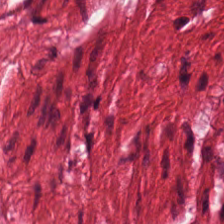20× equivalent magnification · hematoxylin and eosin · brightfield. The tissue here is smooth muscle.
